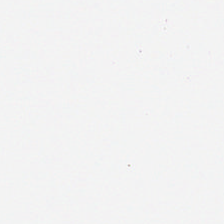Hematoxylin-and-eosin stained section. 0.5 microns per pixel — Empty field — background (no tissue).
